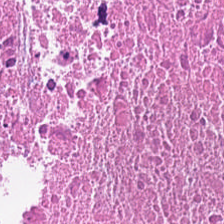Hematoxylin-and-eosin stained section. FFPE tissue section.
Q: What tissue type is shown here?
A: It is debris.
